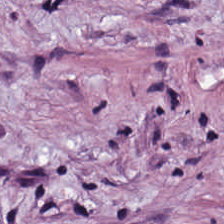0.5 µm/px; whole-slide-image patch; H&E stain — The tissue here is tumor stroma.
